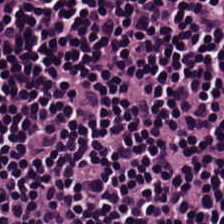Stain: H&E stain.
Preparation: formalin-fixed paraffin-embedded section.
Tissue type: lymphocyte aggregate.
